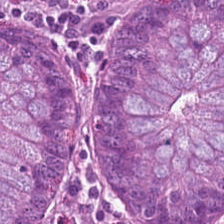Hematoxylin and eosin — {"tissue_type": "benign colonic mucosa"}
